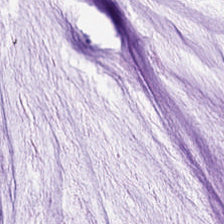224×224 px tile; H&E.
The classification is extracellular mucin.
